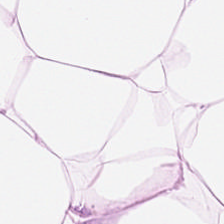Hematoxylin-and-eosin stained section. The predominant tissue is adipocytes.
